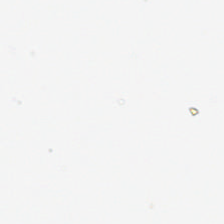No tissue present; background only.
